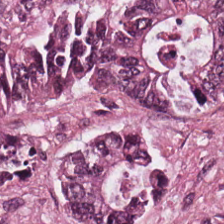Hematoxylin and eosin.
Tissue type = colorectal adenocarcinoma.
